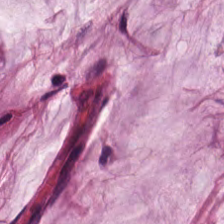H&E stain. This field is mucin.
